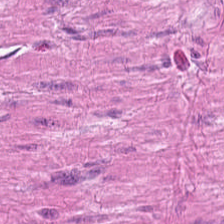Hematoxylin-and-eosin stained section — Tissue type — muscularis.
